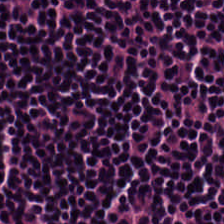Brightfield · hematoxylin-and-eosin stained section · FFPE tissue section — Tissue class — lymphocyte aggregate.
